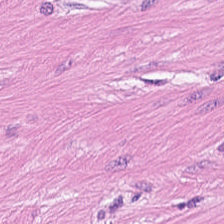Hematoxylin and eosin — The predominant tissue is muscularis.
